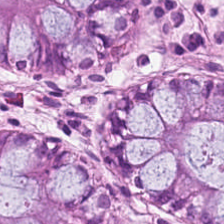H&E-stained tissue section showing benign colonic mucosa.
